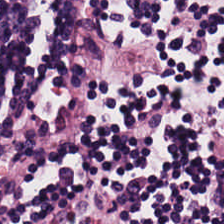Hematoxylin and eosin.
Showing lymphocytes.
